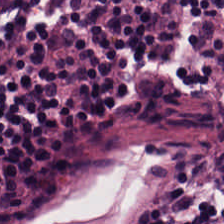H&E — lymphocytes.
